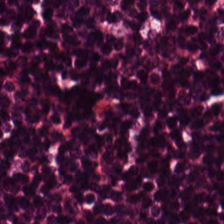H&E-stained tissue section — Lymphocytic infiltrate.
